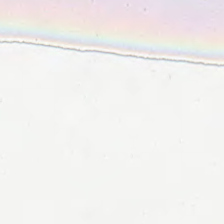H&E-stained tissue section. Background — no tissue in this field.
